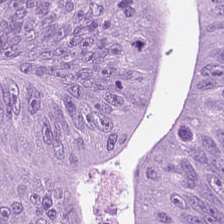Hematoxylin and eosin — Finding — colorectal adenocarcinoma epithelium.
